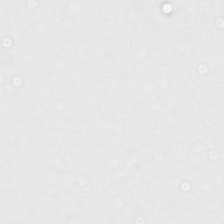No tissue present; background only.
